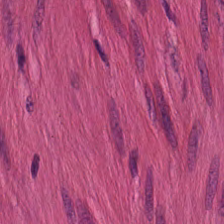Hematoxylin and eosin.
This patch shows smooth-muscle tissue.
